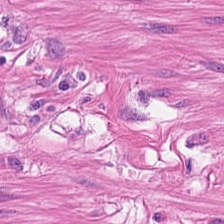H&E.
Classification — smooth-muscle tissue.
